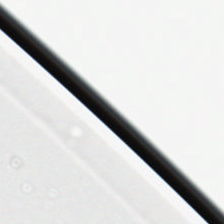Hematoxylin-and-eosin stained section. This patch shows background.
